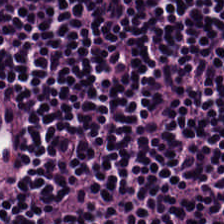H&E stain.
Tissue class: lymphocytic infiltrate.
